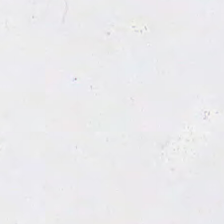Stain: H&E.
Content: background.
